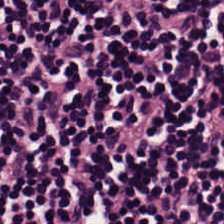Hematoxylin and eosin — Predominant tissue: lymphocyte aggregate.
